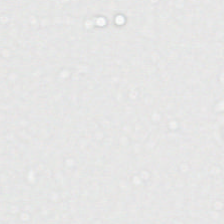Hematoxylin and eosin. This patch shows background (no tissue).
